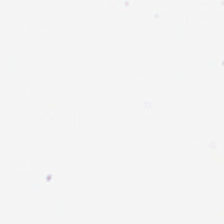No tissue.
